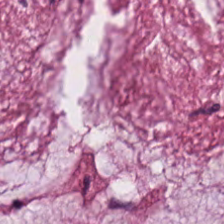H&E-stained tissue section; 20× equivalent magnification; brightfield.
Tissue = mucus.
